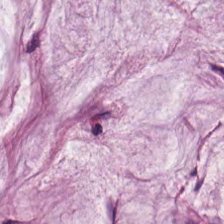H&E-stained tissue section · 0.5 µm/px — Impression — mucin.
